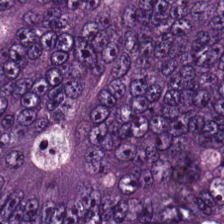Brightfield microscopy · H&E-stained tissue section — Tissue: colorectal adenocarcinoma.
